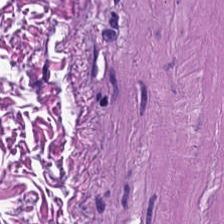H&E-stained tissue section — Predominantly smooth-muscle tissue.
